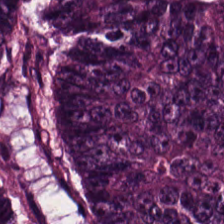FFPE tissue section · hematoxylin and eosin · brightfield — Tissue class — colorectal adenocarcinoma epithelium.
